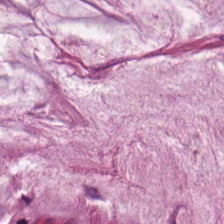Hematoxylin and eosin. The predominant tissue is mucus.
